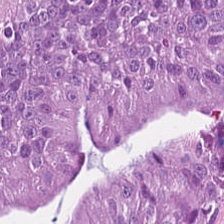Hematoxylin and eosin; brightfield microscopy. The predominant tissue is tumor epithelium.
